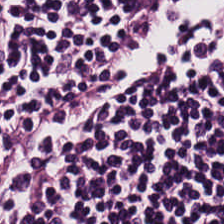H&E-stained section; the field shows lymphocytic infiltrate.
